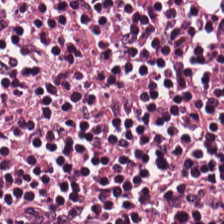H&E-stained tissue section — {"tissue_type": "lymphocytic infiltrate"}
